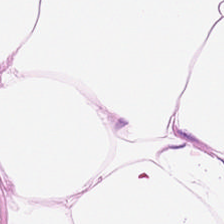Q: What does this patch show?
A: It is adipocytes.
